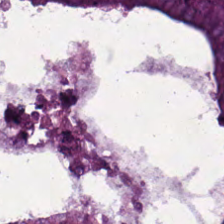Hematoxylin-and-eosin stained section. Tissue — tumor epithelium.
